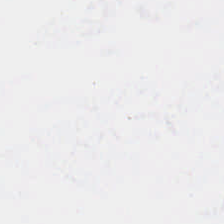Stain: H&E.
Classification: empty background.
